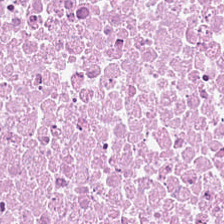0.5 microns per pixel · H&E-stained tissue section. This field is debris.
